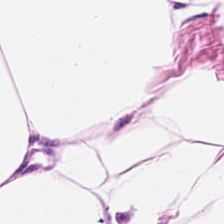224×224 px patch. H&E-stained tissue section. Tissue class: adipose.
